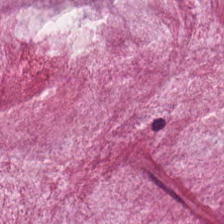Stain: hematoxylin and eosin.
Classification: mucus.
